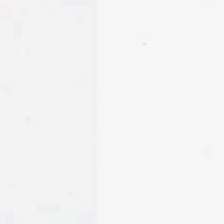Hematoxylin-and-eosin stained section.
This field is background (no tissue).
